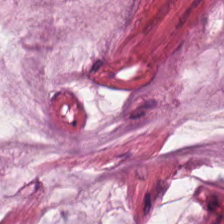H&E-stained tissue section — Q: What tissue is shown?
A: It is mucin.
